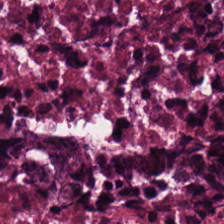Stain: H&E stain.
Preparation: formalin-fixed paraffin-embedded section.
Tissue: necrotic debris.
